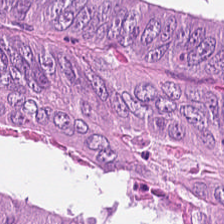Whole-slide-image patch; H&E stain. The tissue here is adenocarcinoma.
